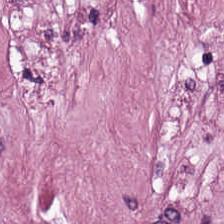The predominant tissue is cancer-associated stroma.
